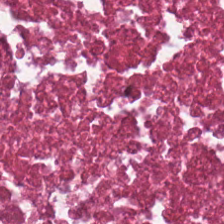H&E-stained tissue section.
This patch shows necrotic debris.
